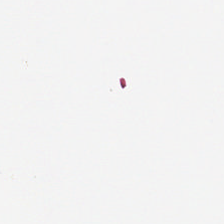H&E stain. 224×224 pixel tile.
Empty field — background (no tissue).
